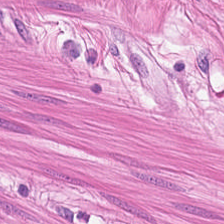H&E-stained tissue section — Predominantly smooth muscle.
